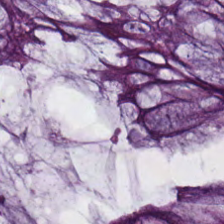Hematoxylin-and-eosin stained section — Q: Classify this patch.
A: This is non-neoplastic colon mucosa.
